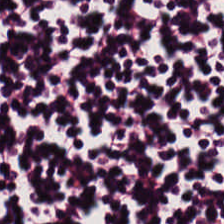Stain: hematoxylin-and-eosin stained section.
Tile size: 224×224 px tile.
Classification: lymphocytes.
